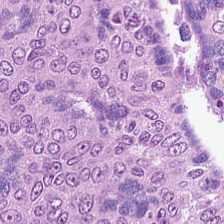H&E — adenocarcinoma.
